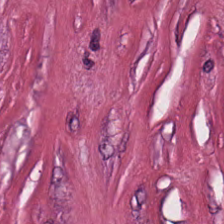Hematoxylin and eosin.
The tissue class is tumor-associated stroma.
